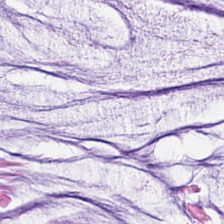H&E-stained tissue section. Q: What type of tissue is this?
A: The field shows mucin.
